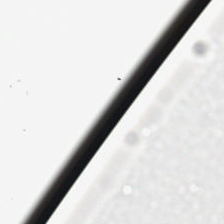H&E stain — The content is background.
